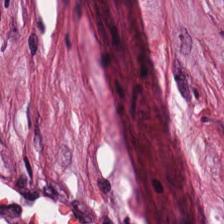Stain: H&E.
Tile size: 224×224 px tile.
Preparation: FFPE tissue section.
Tissue type: desmoplastic stroma.
